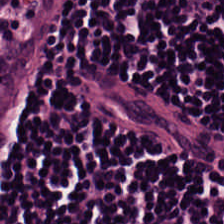Hematoxylin-and-eosin stained section; formalin-fixed paraffin-embedded section.
Lymphocytes.
